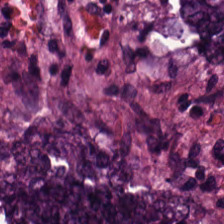224×224 px tile · hematoxylin-and-eosin stained section. The predominant tissue is colorectal adenocarcinoma epithelium.
